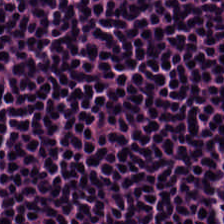Hematoxylin-and-eosin stained section; 224×224 pixel tile. Q: Classify this patch.
A: This is lymphocytic infiltrate.
